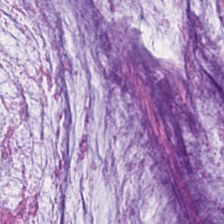H&E stain. Q: What is shown here?
A: This is mucus.
